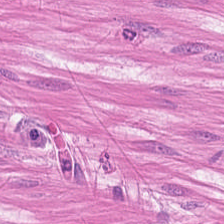WSI patch · H&E-stained tissue section · 0.5 µm/px — Smooth muscle.
